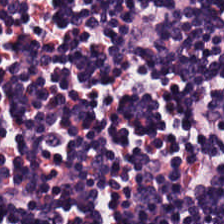Formalin-fixed paraffin-embedded section; H&E — Predominant tissue: lymphocytes.
